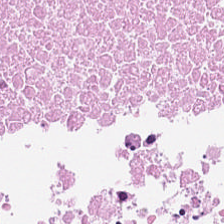Hematoxylin-and-eosin stained section; 0.5 microns per pixel.
Q: What tissue is shown?
A: This is cellular debris.
